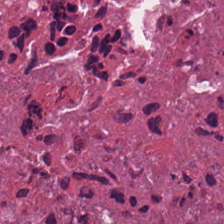H&E-stained tissue section — Showing debris.
